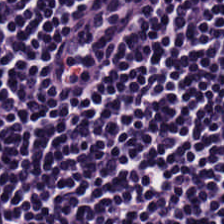This field is lymphocytes.
